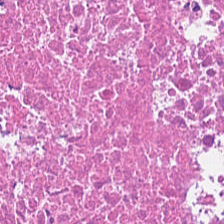H&E stain. FFPE.
Showing cellular debris.
